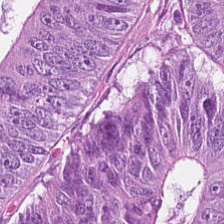H&E · 224×224 px tile — This patch shows colorectal adenocarcinoma epithelium.
